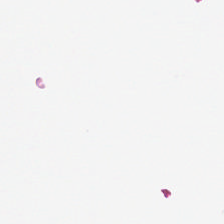Empty field — no tissue.
